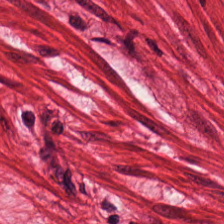Tissue type — smooth-muscle tissue.
